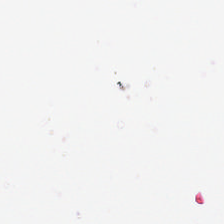Stain: H&E-stained tissue section.
Tile size: 224×224 pixel tile.
Preparation: FFPE tissue section.
Content: background (no tissue).
